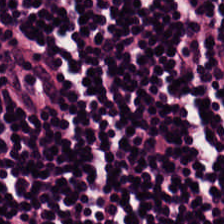Stain: hematoxylin-and-eosin stained section.
Tissue: lymphocytes.
